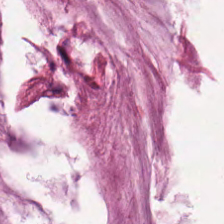0.5 microns per pixel; H&E.
This field is extracellular mucin.
